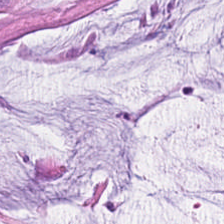H&E stain.
The tissue here is mucus.
